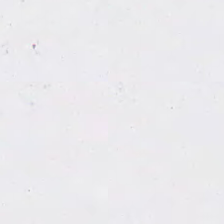Content = background.
